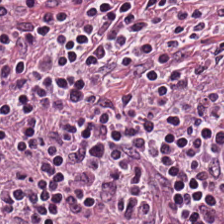Impression — lymphocytes.
